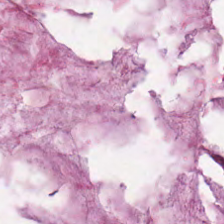H&E-stained tissue section.
Showing mucus.
